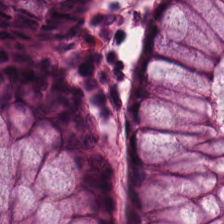Finding — non-neoplastic colon mucosa.
